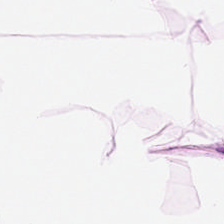Q: What is shown in this field?
A: It is adipose tissue.
